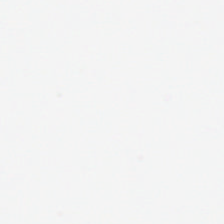H&E stain — The classification is no tissue.
